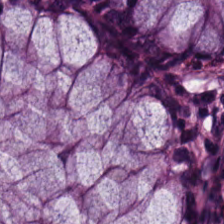H&E. WSI patch. FFPE. The tissue class is normal colon mucosa.
